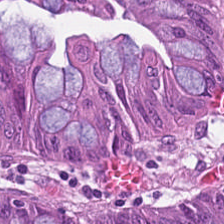Stain: hematoxylin and eosin.
Classification: colorectal adenocarcinoma.
